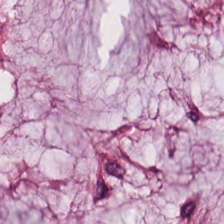Hematoxylin-and-eosin stained section; 0.5 µm per pixel.
Q: What tissue is shown?
A: This is extracellular mucin.
